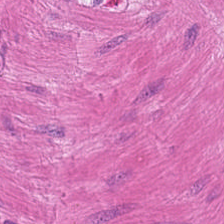FFPE. Hematoxylin-and-eosin stained section. Whole-slide-image patch. Q: What does this patch show?
A: This is muscularis.
